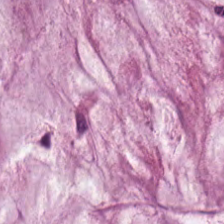H&E; FFPE. Tissue class: mucin.
